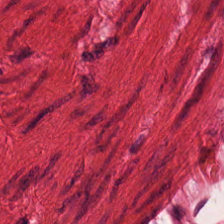Formalin-fixed paraffin-embedded section; hematoxylin-and-eosin stained section.
This field is muscularis.
